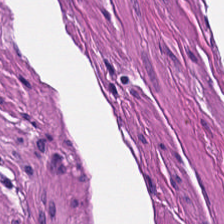Hematoxylin and eosin.
Finding — muscularis.
